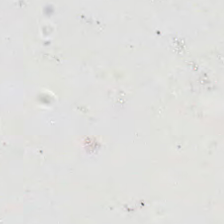Hematoxylin-and-eosin stained section.
Finding → no tissue.
